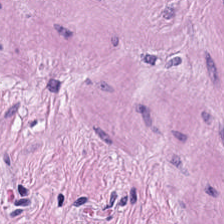FFPE tissue section. H&E — Showing smooth muscle.
